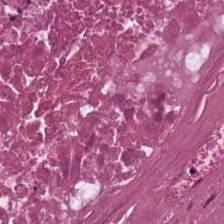Tissue = debris.
